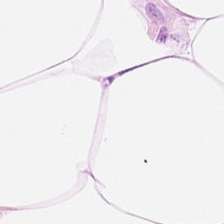H&E-stained tissue section · 224×224 px patch · 0.5 µm per pixel.
Tissue type: adipose tissue.
